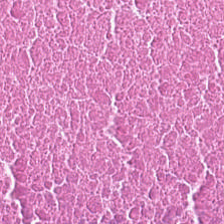H&E-stained tissue section — {"tissue_type": "debris"}
